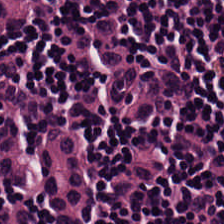Tissue type: lymphocytes.
